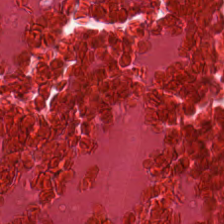20× equivalent magnification; H&E stain; formalin-fixed paraffin-embedded section — Tissue class: debris.
